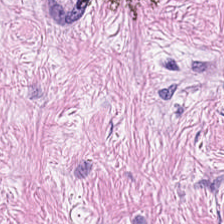H&E patch showing cancer-associated stroma.
